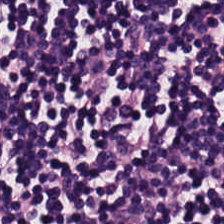H&E stain. Predominantly lymphocytic infiltrate.
